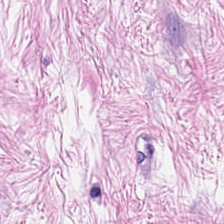Tissue: tumor-associated stroma.
